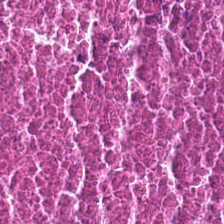H&E. 224×224 px tile. The predominant tissue is necrotic debris.
